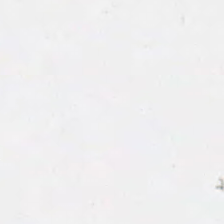H&E.
No tissue present; background only.
